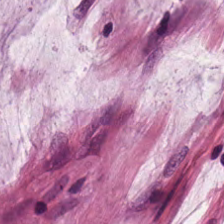H&E.
Showing mucin.
